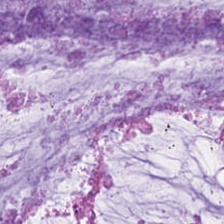Hematoxylin and eosin. This patch shows mucus.
